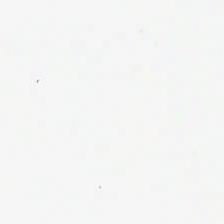Stain: H&E.
Content: background (no tissue).
